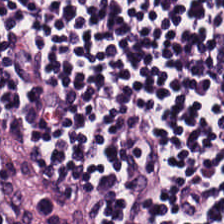H&E; brightfield microscopy; 20× equivalent magnification. Q: Identify the tissue.
A: Lymphocyte aggregate.
